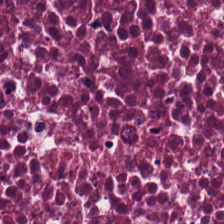H&E.
Tissue class — debris.
